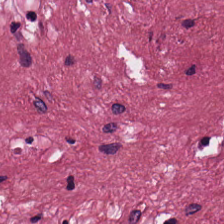FFPE tissue section; H&E stain.
Impression — desmoplastic stroma.
